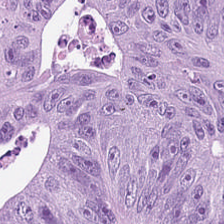H&E-stained tissue section. Q: What does this patch show?
A: This is colorectal adenocarcinoma epithelium.
